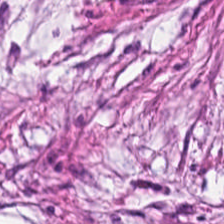224×224 pixel tile · H&E stain. Desmoplastic stroma.
